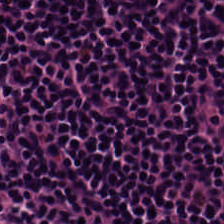Hematoxylin and eosin.
Classification: lymphocytes.
